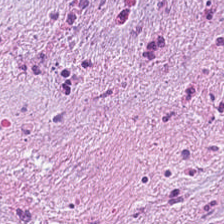Predominant tissue — tumor-associated stroma.
